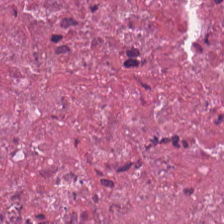Hematoxylin and eosin. 224×224 px patch — Histology — debris.
